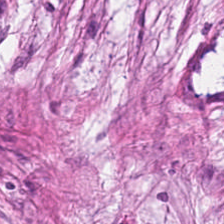The predominant tissue is tumor-associated stroma.
